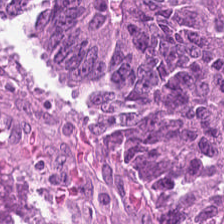FFPE tissue section · brightfield microscopy · H&E stain.
Predominant tissue = colorectal adenocarcinoma epithelium.
